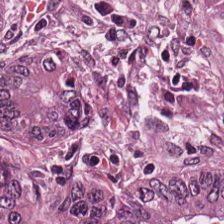0.5 µm per pixel; FFPE tissue section; hematoxylin and eosin.
Impression → malignant epithelium.
